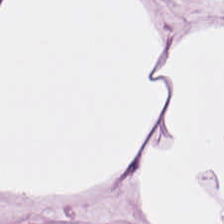Stain: hematoxylin-and-eosin stained section.
Acquisition: brightfield.
Tissue type: adipose.
